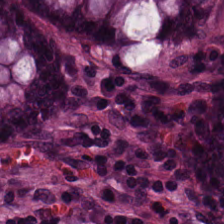Impression — benign colonic mucosa.
